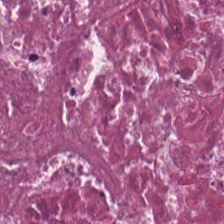FFPE tissue section. Hematoxylin and eosin — Predominant tissue = cellular debris.
